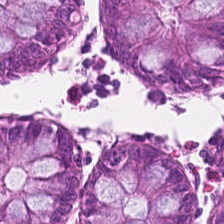Hematoxylin and eosin.
Tissue type = benign colonic mucosa.
